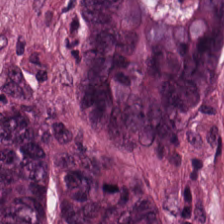FFPE tissue section. Hematoxylin-and-eosin stained section. 0.5 microns per pixel — Predominant tissue — colorectal adenocarcinoma epithelium.
